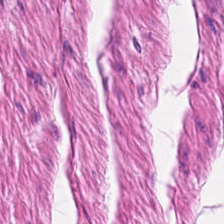Hematoxylin and eosin.
Finding — smooth muscle.
